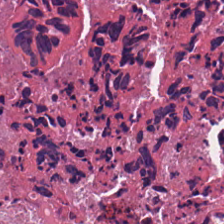FFPE. H&E. 0.5 microns per pixel.
The predominant tissue is necrotic debris.
